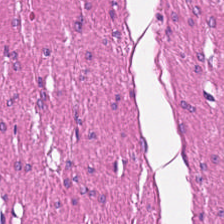Hematoxylin and eosin. Tissue = muscularis.
